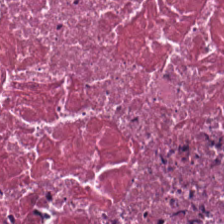H&E-stained tissue section.
Predominantly debris.
